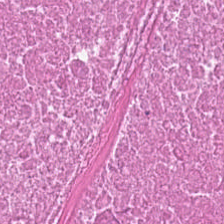FFPE tissue section; hematoxylin and eosin. Showing debris.
